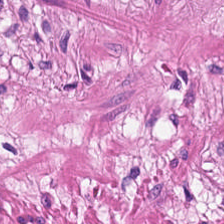H&E. Formalin-fixed paraffin-embedded section. 0.5 microns per pixel — The predominant tissue is smooth muscle.
